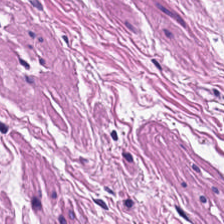H&E stain. Brightfield microscopy. 20× equivalent magnification.
The predominant tissue is smooth muscle.
